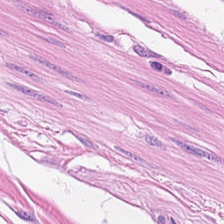Hematoxylin and eosin — Classification — smooth-muscle tissue.
